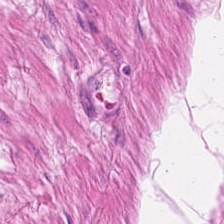H&E — {"tissue_type": "smooth-muscle tissue"}
